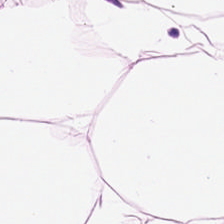H&E-stained tissue section — Predominantly adipose tissue.
